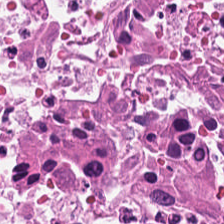Impression → debris.
